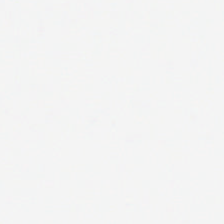Stain: hematoxylin and eosin.
Field content: no tissue.
